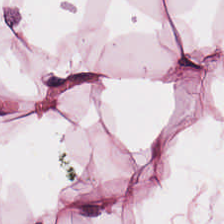Stain: hematoxylin-and-eosin stained section.
Tissue type: adipose tissue.
